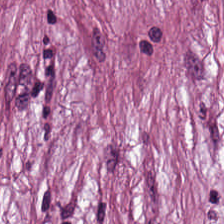H&E stain.
The predominant tissue is tumor-associated stroma.
